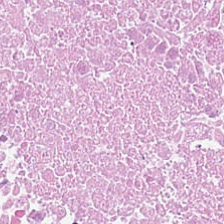Stain: hematoxylin and eosin.
Predominant tissue: cellular debris.
